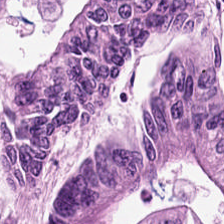FFPE tissue section · hematoxylin-and-eosin stained section.
Tissue class: tumor epithelium.
